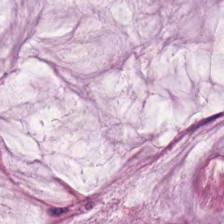Stain: H&E stain.
Classification: extracellular mucin.
